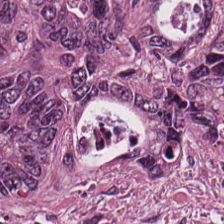Stain: H&E-stained tissue section.
Tissue: colorectal adenocarcinoma.
